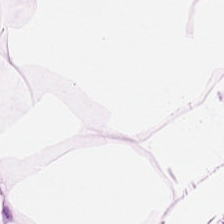H&E · brightfield microscopy. {"tissue_type": "adipose tissue"}
